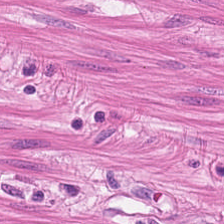FFPE. H&E stain — The tissue class is smooth muscle.
